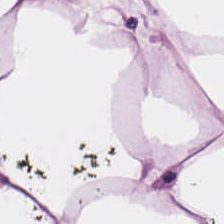FFPE; hematoxylin-and-eosin stained section. {"tissue_type": "adipose tissue"}
